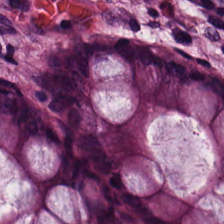Hematoxylin and eosin.
Q: Identify the tissue.
A: It is normal colonic mucosa.
